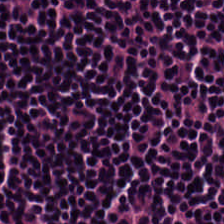Q: What is shown here?
A: This is lymphocyte aggregate.
